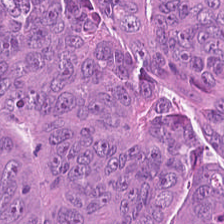H&E-stained tissue section — {"tissue_type": "adenocarcinoma"}
